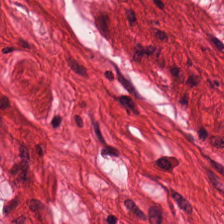Stain: H&E.
Resolution: 0.5 µm/px.
Predominant tissue: smooth muscle.
